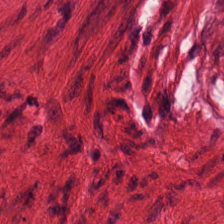H&E stain — Tissue class: smooth muscle.
